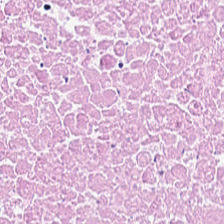0.5 microns per pixel. H&E. Showing cellular debris.
